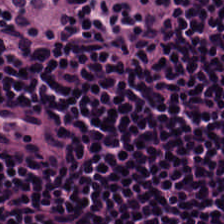This field is lymphocytic infiltrate.
